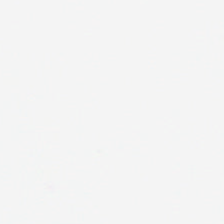Impression — background.
